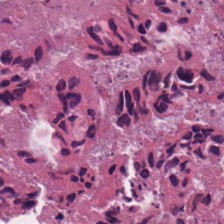Stain: H&E.
Tile size: 224×224 px patch.
Resolution: 20× equivalent magnification.
Tissue: necrotic debris.
